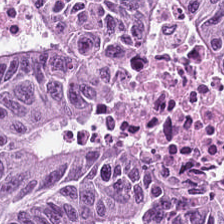Hematoxylin and eosin. 20× equivalent magnification. 224×224 pixel tile.
This patch shows tumor epithelium.
